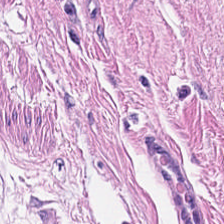Predominantly smooth muscle.
